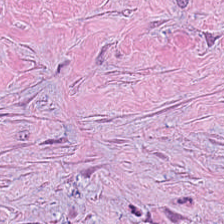H&E.
Tissue class — tumor-associated stroma.
